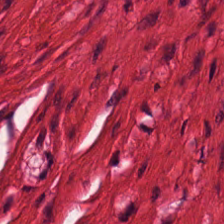H&E stain — The predominant tissue is muscularis.
